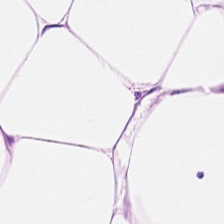Formalin-fixed paraffin-embedded section; H&E stain. Adipocytes.
